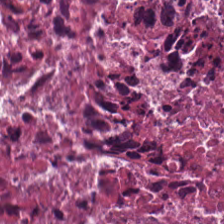0.5 microns per pixel. Hematoxylin and eosin — Necrotic debris.
